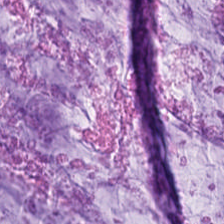H&E stain.
Predominantly extracellular mucin.
